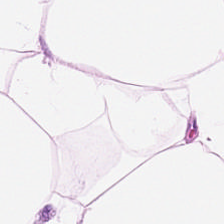Impression → fat tissue.
